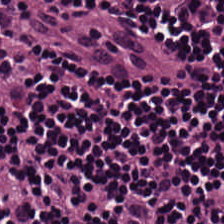This field is lymphocytes.
